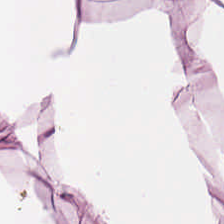H&E-stained tissue section · 224×224 px tile.
Histology → adipocytes.
